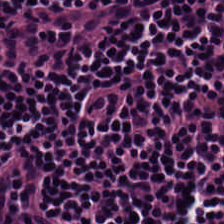H&E-stained tissue section — The tissue is lymphoid infiltrate.
